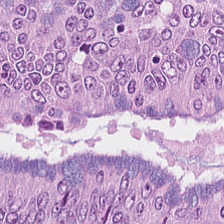Hematoxylin-and-eosin stained section — {"tissue_type": "malignant epithelium"}
